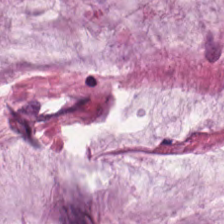Stain: H&E.
Classification: extracellular mucin.
